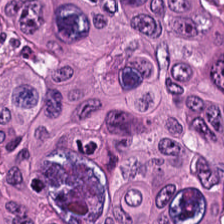H&E-stained tissue section; brightfield. Predominant tissue = adenocarcinoma.
